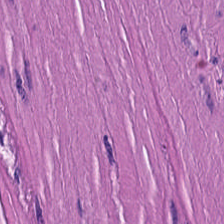Hematoxylin and eosin. Tissue class = smooth muscle.
